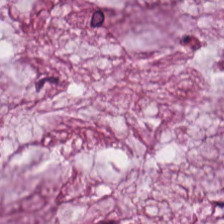Tissue type: mucus.
